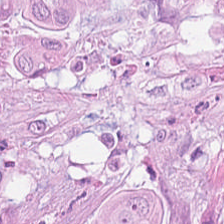FFPE tissue section · H&E. Classification: colorectal adenocarcinoma epithelium.
